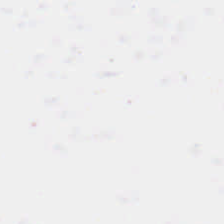WSI patch; H&E-stained tissue section — This field is background (no tissue).
